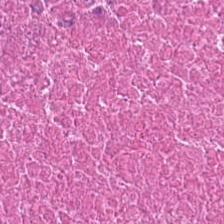Stain: H&E.
Tile size: 224×224 pixel tile.
Tissue: debris.
